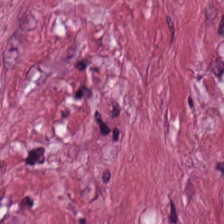H&E-stained tissue section. Tissue: cancer-associated stroma.
